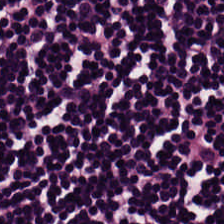Hematoxylin-and-eosin stained section.
Q: What is the predominant tissue type?
A: The field shows lymphocyte aggregate.
